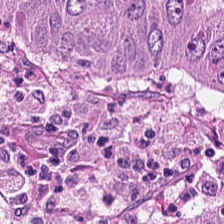224×224 pixel tile. FFPE tissue section. H&E-stained tissue section — Q: What is shown in this field?
A: Malignant epithelium.
